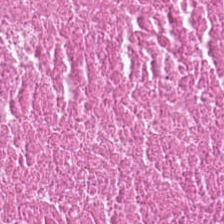Q: What is shown in this field?
A: This is cellular debris.
